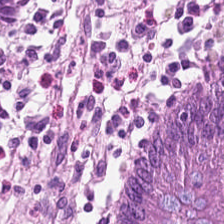Stain: hematoxylin-and-eosin stained section.
Resolution: 20× equivalent magnification.
Tissue type: non-neoplastic colon mucosa.
